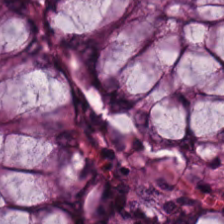Tissue — benign colonic mucosa.
